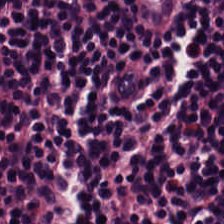This patch shows lymphoid infiltrate.
